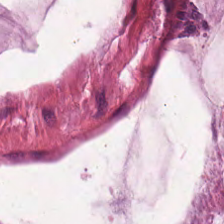H&E; 224×224 px tile.
This field is mucus.
